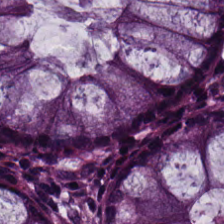FFPE · hematoxylin-and-eosin stained section.
The tissue class is normal colon mucosa.
